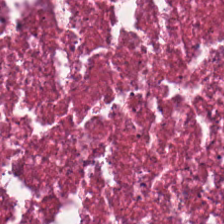Q: What does this patch show?
A: It is debris.
